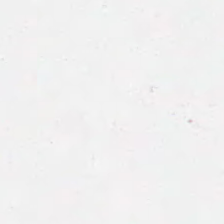0.5 µm per pixel · hematoxylin-and-eosin stained section. Finding — no tissue.
